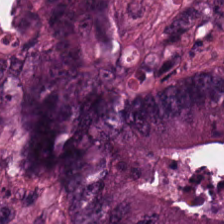Hematoxylin-and-eosin stained section; 0.5 microns per pixel. Q: Identify the tissue.
A: It is colorectal adenocarcinoma epithelium.
